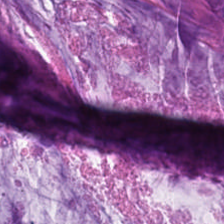H&E; formalin-fixed paraffin-embedded section. Finding → extracellular mucin.
